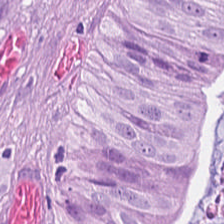FFPE tissue section; H&E-stained tissue section — The tissue here is colorectal adenocarcinoma epithelium.
